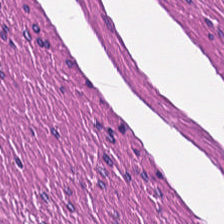H&E stain. Q: What is shown in this field?
A: Muscularis.
